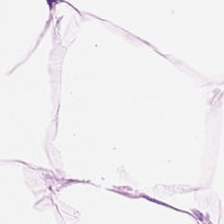Hematoxylin and eosin; 224×224 px tile — Q: What does this patch show?
A: This is adipocytes.
